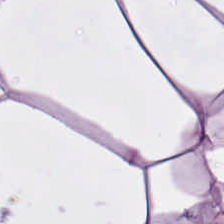Q: What tissue is shown?
A: Adipose tissue.
